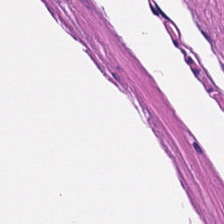H&E-stained tissue section. Showing smooth muscle.
